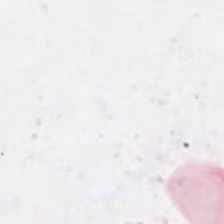Hematoxylin-and-eosin stained section. Histology → background.
